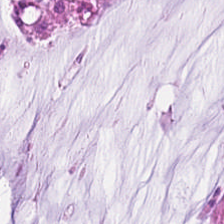Hematoxylin and eosin — The classification is mucin.
